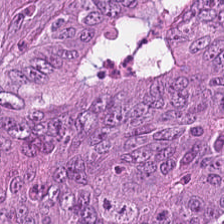H&E-stained tissue section — This field is malignant epithelium.
